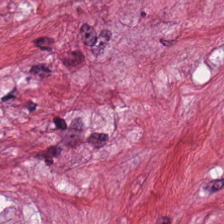20× equivalent magnification. H&E stain.
The tissue class is desmoplastic stroma.
